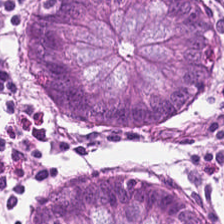Hematoxylin-and-eosin stained section; 224×224 px tile. Predominantly normal colonic mucosa.
